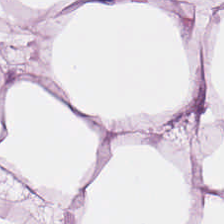224×224 pixel tile; H&E — The tissue here is adipose.
